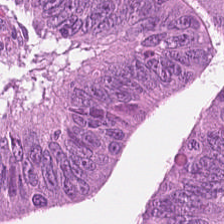224×224 px tile · H&E-stained tissue section — Predominant tissue = adenocarcinoma.
